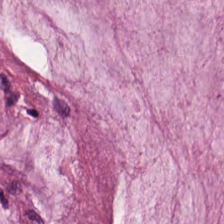H&E stain · 224×224 px tile · whole-slide-image patch — Impression → mucus.
